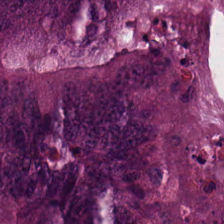H&E-stained tissue section · 224×224 px patch · whole-slide-image patch. Q: What type of tissue is this?
A: Malignant epithelium.
